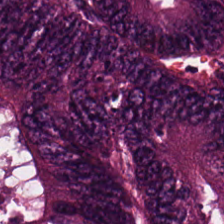Stain: H&E stain.
Classification: tumor epithelium.
